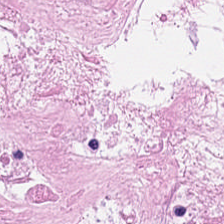The classification is debris.
